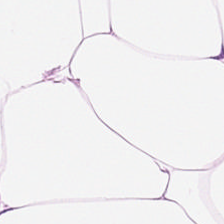Hematoxylin-and-eosin stained section.
Predominantly fat tissue.
